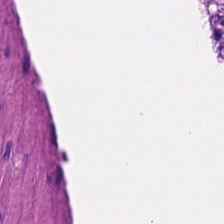H&E.
This patch shows smooth muscle.
